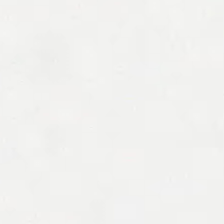Whole-slide-image patch; 0.5 µm/px; hematoxylin-and-eosin stained section — Q: What does this patch show?
A: This is no tissue.
